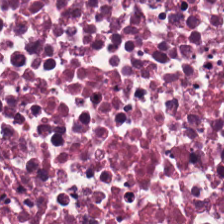Hematoxylin and eosin. Classification: necrotic debris.
